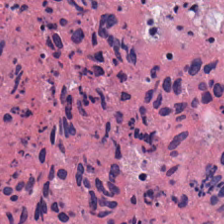H&E stain.
Tissue: cellular debris.
